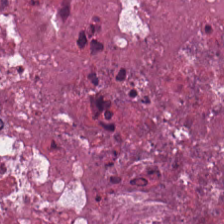Stain: hematoxylin-and-eosin stained section.
Acquisition: whole-slide-image patch.
Tissue: cellular debris.
